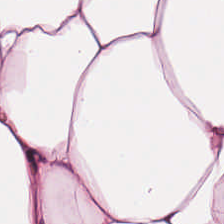Stain: H&E.
Predominant tissue: adipocytes.
